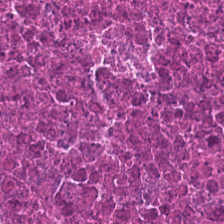Hematoxylin and eosin.
Showing cellular debris.
